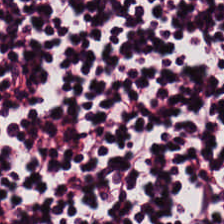Q: What type of tissue is this?
A: This is lymphocytes.
